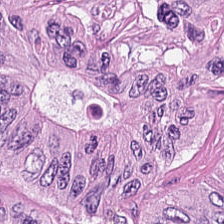Stain: hematoxylin-and-eosin stained section.
Preparation: formalin-fixed paraffin-embedded section.
Tile size: 224×224 pixel tile.
Tissue: adenocarcinoma.
